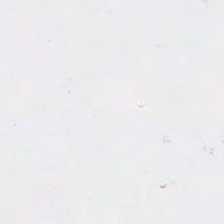Hematoxylin-and-eosin stained section.
Q: Classify this patch.
A: No tissue.
